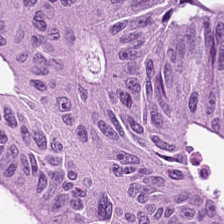FFPE tissue section · hematoxylin-and-eosin stained section — The tissue here is malignant epithelium.
